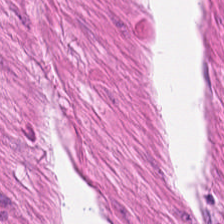{"tissue_type": "smooth muscle"}
